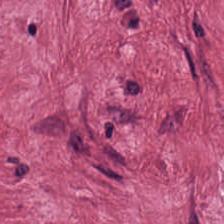Stain: H&E stain.
Tile size: 224×224 px tile.
Acquisition: WSI patch.
Tissue: desmoplastic stroma.
